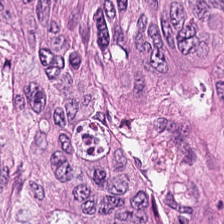H&E-stained tissue section · 0.5 microns per pixel.
This field is colorectal adenocarcinoma.
